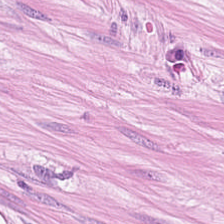Stain: H&E.
Predominant tissue: muscularis.
